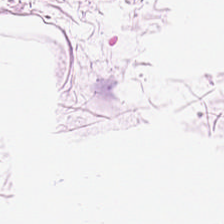Hematoxylin and eosin.
The tissue here is adipose.
